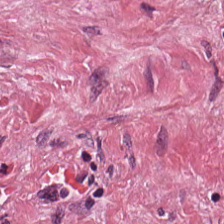Q: What does this patch show?
A: It is cancer-associated stroma.
